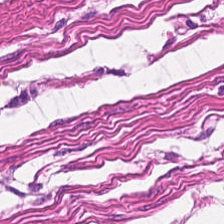Brightfield microscopy; hematoxylin and eosin — Classification: smooth-muscle tissue.
